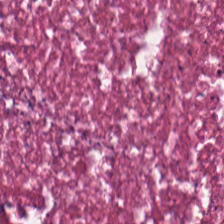H&E stain. The predominant tissue is cellular debris.
